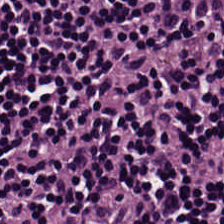Histology — lymphocyte aggregate.
